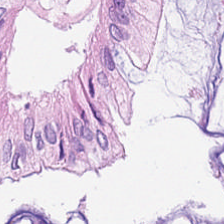Hematoxylin-and-eosin stained section — The tissue here is normal colonic mucosa.
